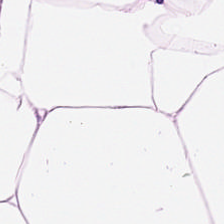224×224 pixel tile. H&E-stained tissue section. Predominantly fat tissue.
